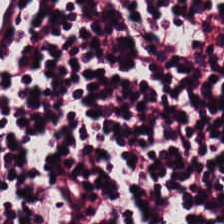Showing lymphoid infiltrate.
